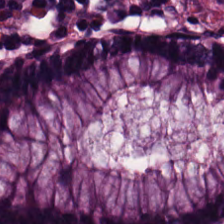H&E stain · brightfield microscopy. The tissue is benign colonic mucosa.
